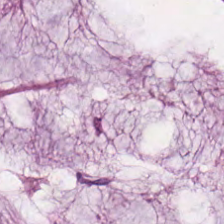H&E — extracellular mucin.
